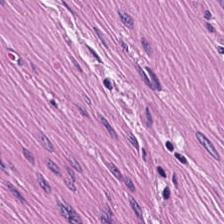H&E stain; 0.5 µm/px. {"tissue_type": "smooth-muscle tissue"}
